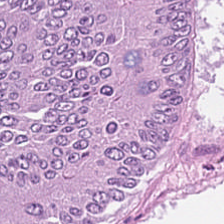WSI patch · hematoxylin-and-eosin stained section.
This patch shows adenocarcinoma.
